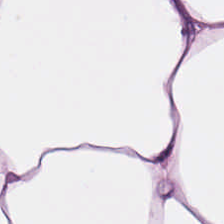H&E-stained tissue section. 0.5 µm/px.
Q: What is shown here?
A: This is adipose.
